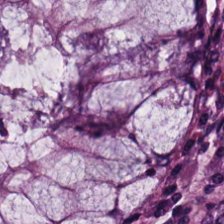Stain: hematoxylin-and-eosin stained section.
Tissue type: benign colonic mucosa.
